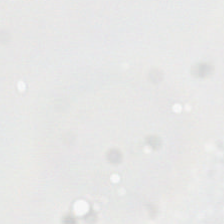H&E.
Field content — no tissue.
